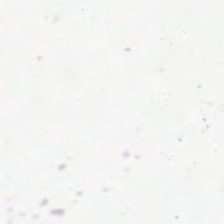{"content": "empty background"}
